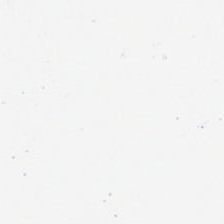Stain: H&E-stained tissue section.
Classification: no tissue.
